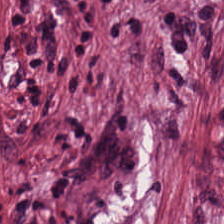H&E.
The tissue here is tumor-associated stroma.
